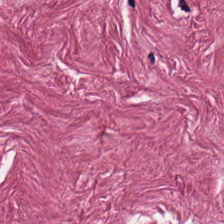0.5 µm/px · H&E stain. Impression → tumor-associated stroma.
